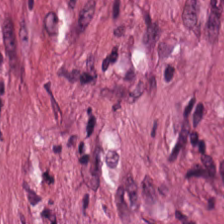H&E stain.
Tissue class: tumor stroma.
